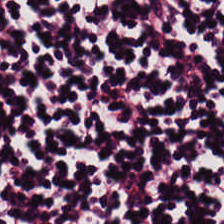Hematoxylin-and-eosin stained section. Tissue = lymphocytic infiltrate.
